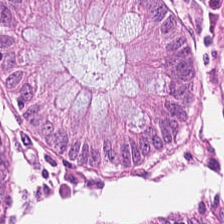Classification = normal colonic mucosa.
